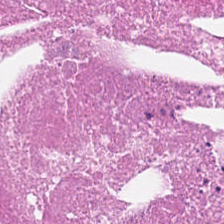H&E stain; FFPE; 0.5 microns per pixel. {"tissue_type": "debris"}
